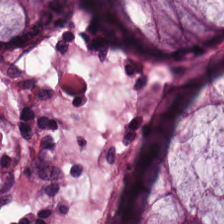Stain: H&E-stained tissue section.
Tissue type: non-neoplastic colon mucosa.
